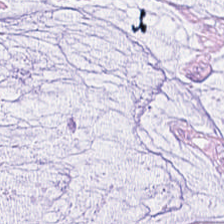Hematoxylin and eosin; WSI patch. Q: What tissue type is shown here?
A: It is extracellular mucin.
